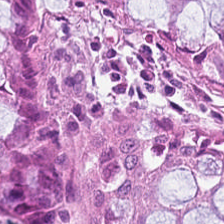The predominant tissue is benign colonic mucosa.
